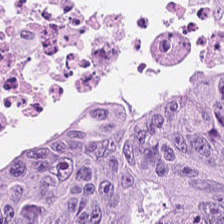Tissue type: colorectal adenocarcinoma.
